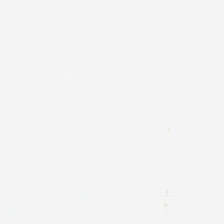H&E. The content is empty background.
